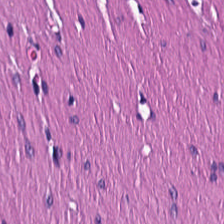H&E-stained tissue section. Tissue — smooth-muscle tissue.
